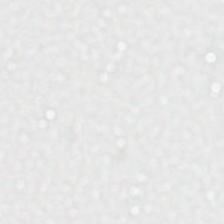H&E. Classification = background (no tissue).
